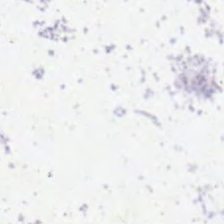Finding → empty background.
